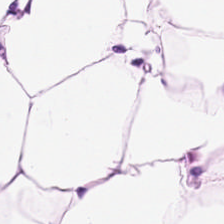{"tissue_type": "adipose"}
